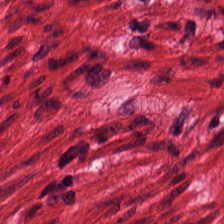FFPE. Hematoxylin-and-eosin stained section — Impression → muscularis.
